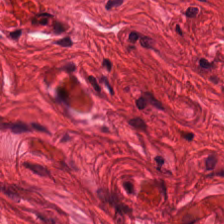H&E. Tissue — smooth muscle.
